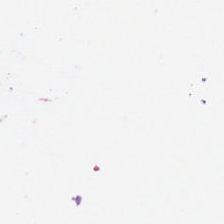Hematoxylin-and-eosin stained section. Impression — empty background.
